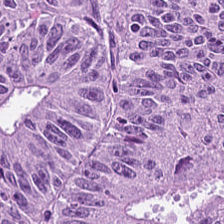H&E-stained tissue section. Histology — colorectal adenocarcinoma epithelium.
